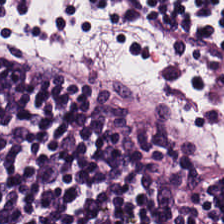Stain: hematoxylin and eosin.
Tissue class: lymphocytic infiltrate.
